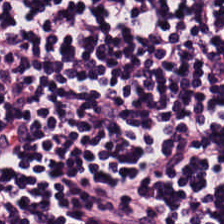Formalin-fixed paraffin-embedded section; hematoxylin and eosin; brightfield.
{"tissue_type": "lymphocytic infiltrate"}
